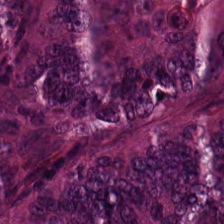WSI patch · 0.5 µm/px · H&E stain — Tissue type = tumor epithelium.
